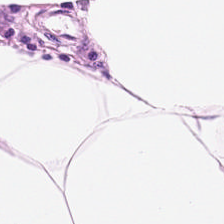Whole-slide-image patch; H&E. Q: What type of tissue is this?
A: Adipose tissue.
